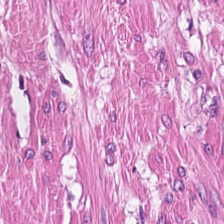Hematoxylin-and-eosin stained section — Tissue type = smooth-muscle tissue.
